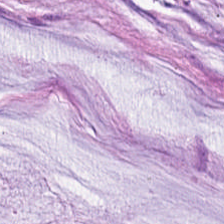Hematoxylin-and-eosin section: extracellular mucin.
